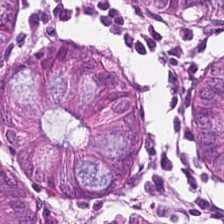Hematoxylin and eosin · WSI patch — The tissue here is benign colonic mucosa.
